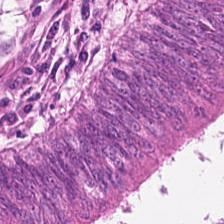Stain: H&E stain.
Tile size: 224×224 px patch.
Resolution: 0.5 µm/px.
Classification: colorectal adenocarcinoma.
